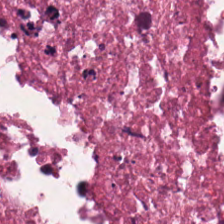H&E-stained tissue section. Histology → necrotic debris.
